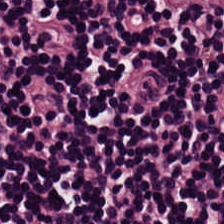Histology — lymphocytes.
